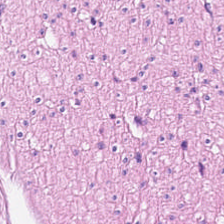Hematoxylin and eosin · 224×224 px patch. The predominant tissue is smooth muscle.
